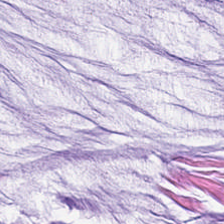Stain: hematoxylin and eosin.
Acquisition: WSI patch.
Preparation: FFPE.
Tissue type: extracellular mucin.
